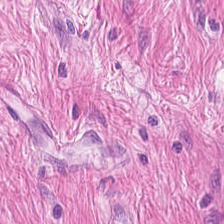0.5 µm/px. Hematoxylin-and-eosin stained section — Q: What is shown here?
A: It is smooth muscle.
